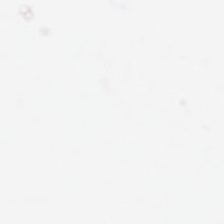Hematoxylin and eosin. FFPE. 0.5 microns per pixel.
This field is background (no tissue).
